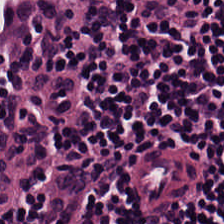FFPE tissue section; H&E; 224×224 pixel tile. Predominantly lymphocytic infiltrate.
